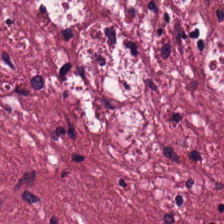H&E stain.
Histology → cancer-associated stroma.
